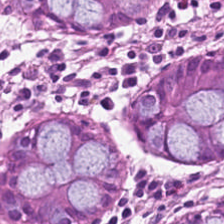Hematoxylin-and-eosin stained section — The classification is benign colonic mucosa.
